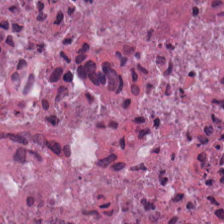Stain: H&E-stained tissue section.
Tissue type: debris.
